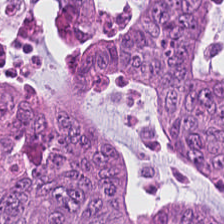H&E · whole-slide-image patch. Tissue type — colorectal adenocarcinoma.
